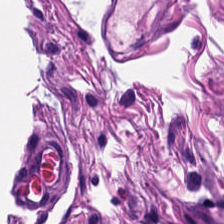Impression — smooth muscle.
